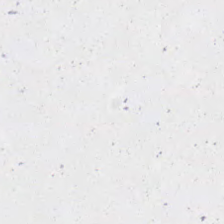H&E. Background — no tissue in this field.
